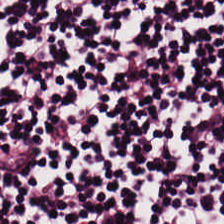Hematoxylin and eosin.
Classification — lymphocytes.
